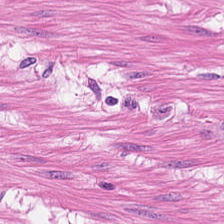WSI patch; H&E.
This field is smooth-muscle tissue.
